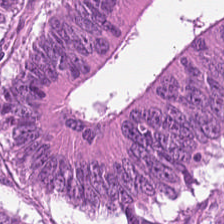H&E-stained tissue section. Showing adenocarcinoma.
